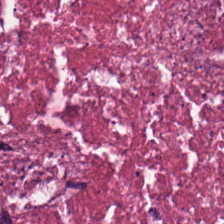Hematoxylin-and-eosin stained section.
Tissue: necrotic debris.
